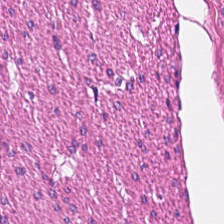0.5 µm/px · hematoxylin and eosin — Predominantly smooth-muscle tissue.
